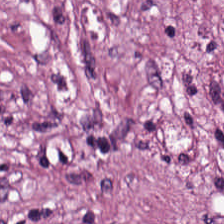H&E · 0.5 µm/px. Tissue class = desmoplastic stroma.
